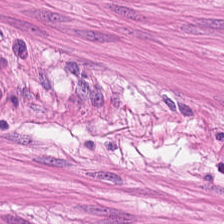H&E stain · 224×224 px tile. This field is smooth-muscle tissue.
